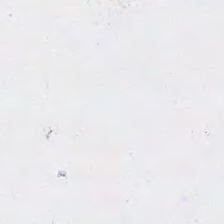This patch shows no tissue.
